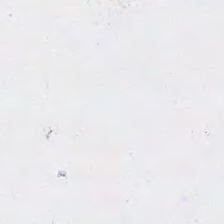This patch shows no tissue.
